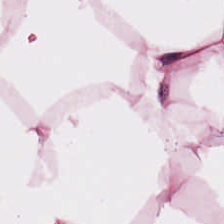Hematoxylin and eosin; 0.5 µm/px. Fat tissue.
